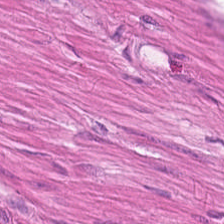Hematoxylin-and-eosin stained section; 224×224 px patch; whole-slide-image patch.
This patch shows smooth-muscle tissue.
